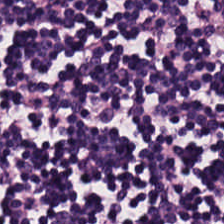H&E-stained tissue section — Predominantly lymphocytes.
